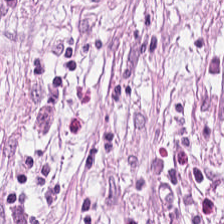H&E stain. Q: What does this patch show?
A: The field shows tumor-associated stroma.
